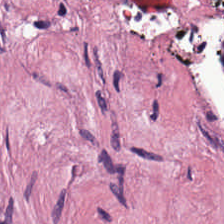Formalin-fixed paraffin-embedded section · H&E-stained tissue section — Tissue type: desmoplastic stroma.
